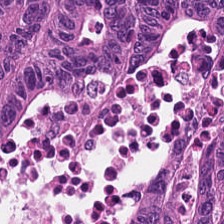Showing colorectal adenocarcinoma.
